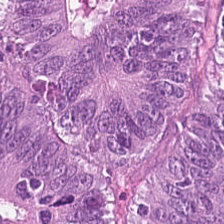Hematoxylin-and-eosin stained section. Tissue = adenocarcinoma.
